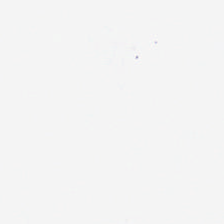Q: What does this patch show?
A: The field shows empty background.
